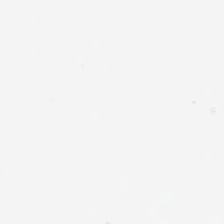Q: What is shown in this field?
A: This is empty background.
